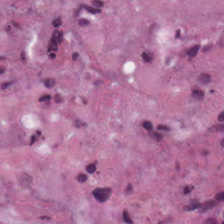Q: What is shown here?
A: This is debris.
